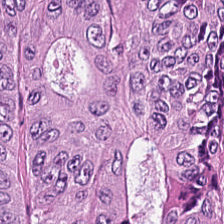H&E stain.
The tissue class is colorectal adenocarcinoma.
